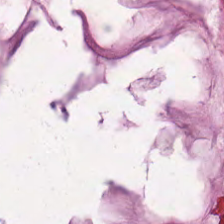Stain: H&E stain.
Classification: extracellular mucin.
